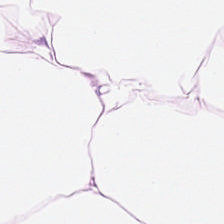H&E — Showing fat tissue.
